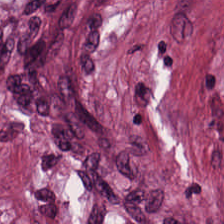H&E stain. The predominant tissue is cancer-associated stroma.
